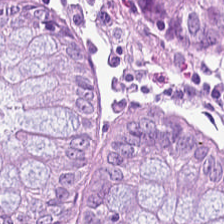224×224 px tile. Hematoxylin-and-eosin stained section — The predominant tissue is non-neoplastic colon mucosa.
